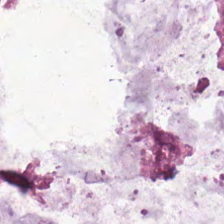Stain: H&E-stained tissue section.
Acquisition: brightfield microscopy.
Preparation: FFPE.
Predominant tissue: mucin.
